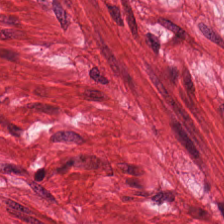Hematoxylin-and-eosin stained section — Smooth-muscle tissue.
